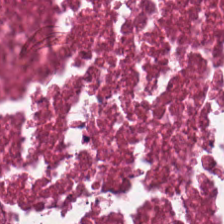Hematoxylin and eosin. Predominant tissue — necrotic debris.
